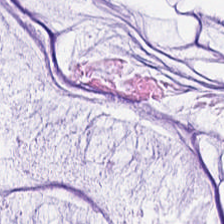Formalin-fixed paraffin-embedded section · H&E stain — Classification = extracellular mucin.
